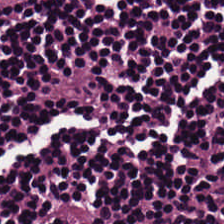H&E stain; FFPE tissue section. This field is lymphoid infiltrate.
